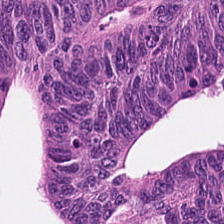Tissue class — colorectal adenocarcinoma epithelium.
